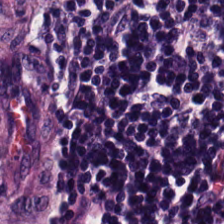224×224 px tile · H&E.
Predominant tissue — lymphocyte aggregate.
